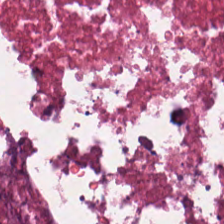H&E stain · 20× equivalent magnification · 224×224 pixel tile. Tissue: necrotic debris.
